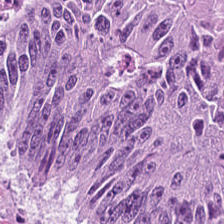H&E-stained tissue section · 224×224 px tile.
The tissue is colorectal adenocarcinoma.
